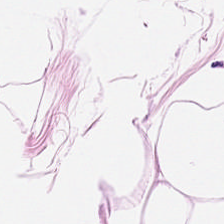The tissue is fat tissue.
